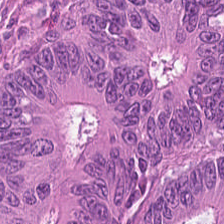H&E-stained tissue section.
Histology → colorectal adenocarcinoma.
